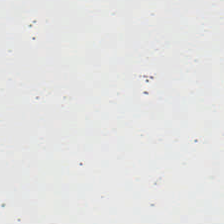Q: What does this patch show?
A: No tissue.
